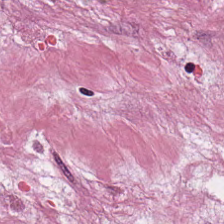Hematoxylin and eosin; 0.5 µm/px — Tissue = cancer-associated stroma.
